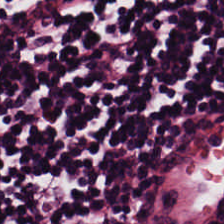H&E-stained tissue section — Finding → lymphoid infiltrate.
